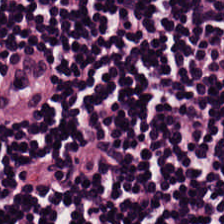Q: What does this patch show?
A: The field shows lymphocytic infiltrate.
